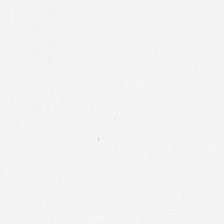H&E stain. FFPE tissue section. WSI patch — Content — background (no tissue).
